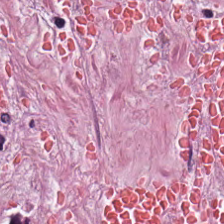{"tissue_type": "cancer-associated stroma"}
